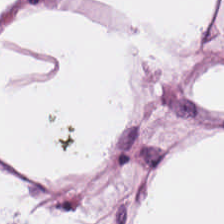Q: What is shown here?
A: It is adipose tissue.
